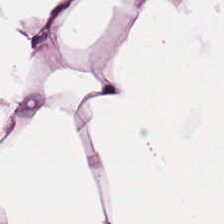H&E. 0.5 microns per pixel. The tissue class is fat tissue.
